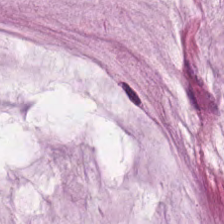H&E-stained tissue section — Extracellular mucin.
